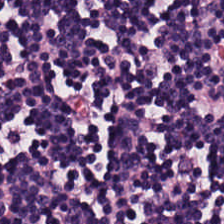H&E stain. The predominant tissue is lymphocytes.
